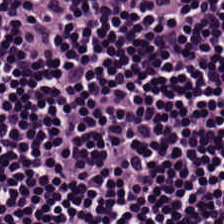H&E — lymphocytes.
